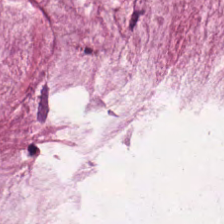Stain: H&E-stained tissue section.
Tissue class: mucin.
